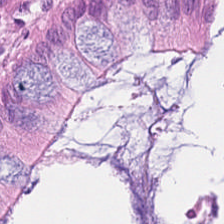H&E stain.
Classification: normal colonic mucosa.
